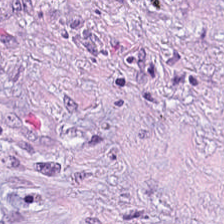224×224 pixel tile. Hematoxylin and eosin.
This patch shows tumor-associated stroma.
